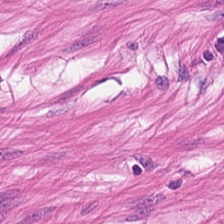Q: What is the predominant tissue type?
A: The field shows smooth muscle.
